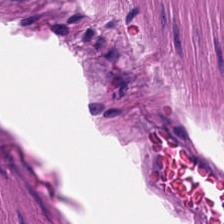Whole-slide-image patch · hematoxylin and eosin.
Tissue type — muscularis.
